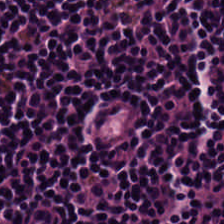The tissue here is lymphocyte aggregate.
